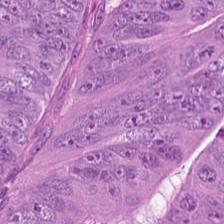H&E-stained tissue section · 0.5 µm/px. The tissue is tumor epithelium.
